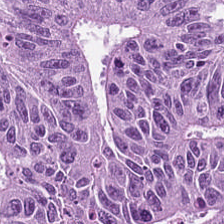224×224 px tile; brightfield microscopy; hematoxylin-and-eosin stained section — Tissue class = tumor epithelium.
